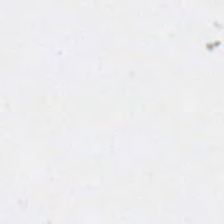H&E. 0.5 microns per pixel.
Background (no tissue).
